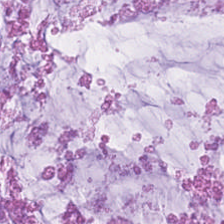H&E patch showing extracellular mucin.
